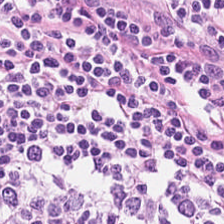Hematoxylin-and-eosin stained section — Impression — lymphocytes.
